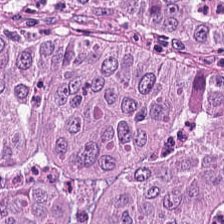20× equivalent magnification. Hematoxylin-and-eosin stained section.
Q: What is shown here?
A: It is malignant epithelium.
